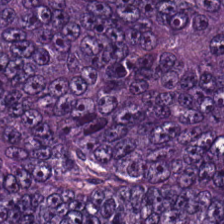0.5 µm/px; H&E — Predominant tissue: adenocarcinoma.
